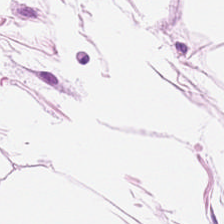H&E patch showing adipose.
